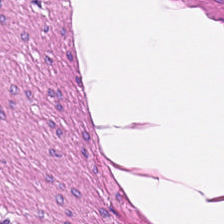20× equivalent magnification; H&E-stained tissue section. Impression — muscularis.
